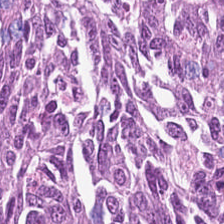FFPE tissue section; hematoxylin-and-eosin stained section. The predominant tissue is adenocarcinoma.
